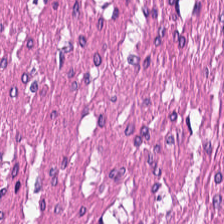Hematoxylin and eosin — {"tissue_type": "muscularis"}
